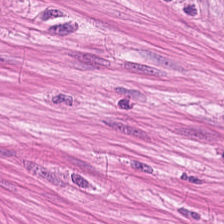0.5 microns per pixel. Hematoxylin and eosin — Tissue class — smooth-muscle tissue.
